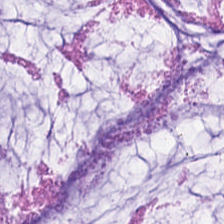Stain: H&E stain.
Tissue type: extracellular mucin.
